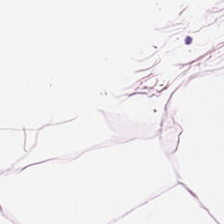H&E-stained tissue section.
Finding → adipose.
